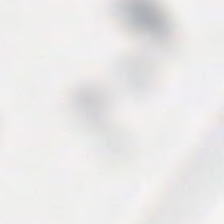H&E — Background.
